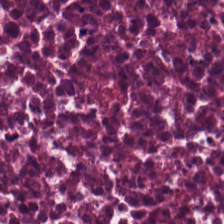Hematoxylin and eosin — The classification is debris.
